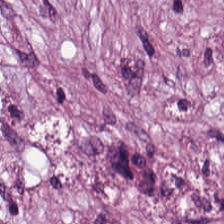H&E stain; FFPE; 224×224 px tile — Q: What is the predominant tissue type?
A: Desmoplastic stroma.
